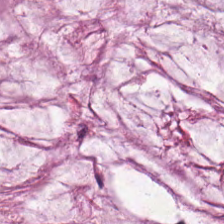224×224 px patch. Hematoxylin and eosin. WSI patch — Q: What is shown in this field?
A: The field shows mucus.
